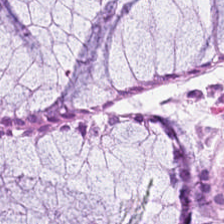224×224 pixel tile; H&E. Predominantly non-neoplastic colon mucosa.
